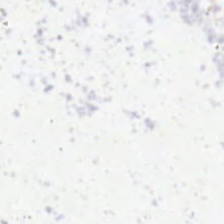224×224 px patch; FFPE tissue section; H&E stain — No tissue present; background only.
